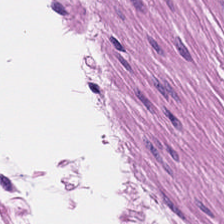Hematoxylin and eosin. This field is smooth muscle.
